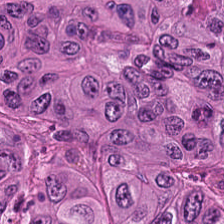H&E-stained tissue section. 20× equivalent magnification. 224×224 px patch.
Finding → colorectal adenocarcinoma.
